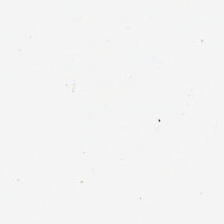H&E stain.
Background — no tissue in this field.
